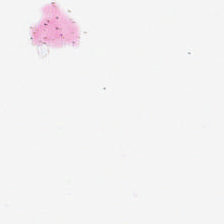The field content is background.
